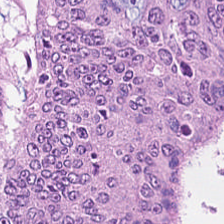H&E stain; 224×224 px patch. Q: Classify this patch.
A: The field shows malignant epithelium.
